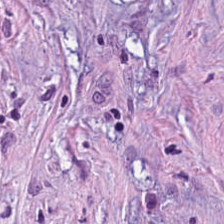The tissue is cancer-associated stroma.
